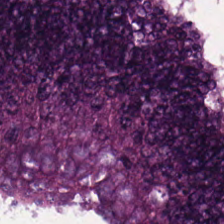FFPE · H&E · 0.5 µm/px. Tumor epithelium.
